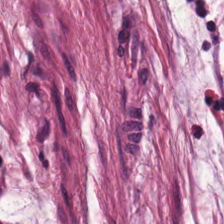Tissue type: mucin.
